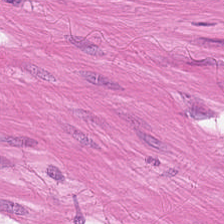Stain: H&E stain.
Predominant tissue: muscularis.
